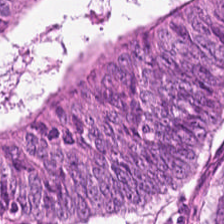Hematoxylin and eosin · formalin-fixed paraffin-embedded section — The tissue here is colorectal adenocarcinoma epithelium.
